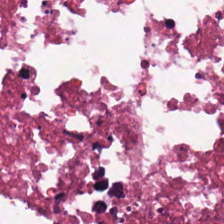The predominant tissue is necrotic debris.
